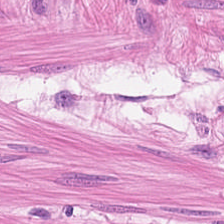H&E-stained tissue section. 0.5 µm/px. Q: What is shown in this field?
A: This is smooth muscle.
